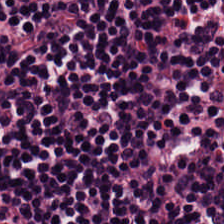Hematoxylin-and-eosin section: lymphoid infiltrate.
